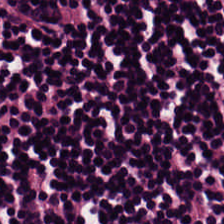H&E-stained tissue section — Lymphoid infiltrate.
